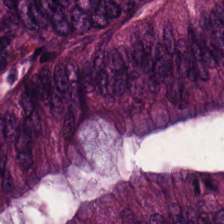H&E-stained tissue section.
This field is malignant epithelium.
